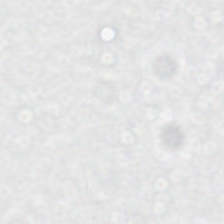Stain: H&E.
Field content: empty background.
